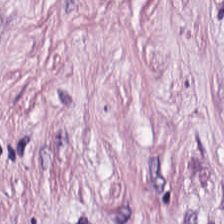H&E — Showing tumor-associated stroma.
